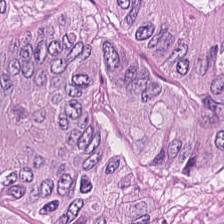Hematoxylin-and-eosin stained section. This patch shows adenocarcinoma.
